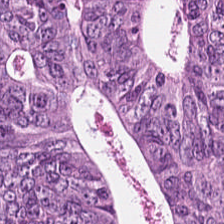Stain: hematoxylin-and-eosin stained section.
Tissue class: malignant epithelium.
